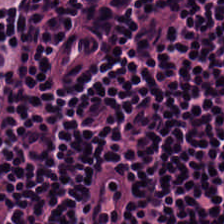Tissue: lymphocyte aggregate.
